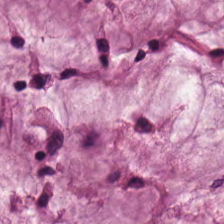Q: What tissue type is shown here?
A: The field shows mucin.
